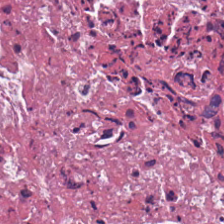Hematoxylin-and-eosin stained section.
This patch shows necrotic debris.
